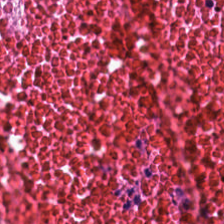Hematoxylin and eosin — Predominantly necrotic debris.
